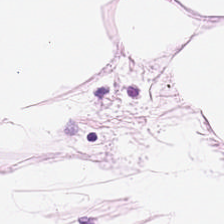Classification — adipocytes.
